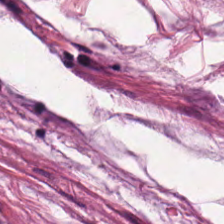H&E. Brightfield. Formalin-fixed paraffin-embedded section. Tissue type = extracellular mucin.
